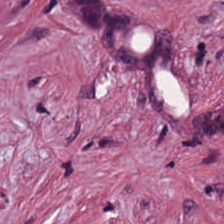The tissue class is tumor-associated stroma.
